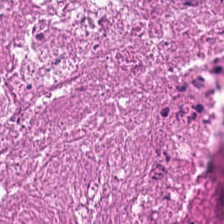Stain: H&E stain.
Tissue type: cellular debris.
